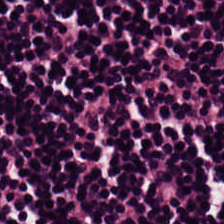This field is lymphocytes.
